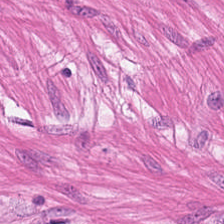224×224 px patch. H&E-stained tissue section — Classification: smooth muscle.
